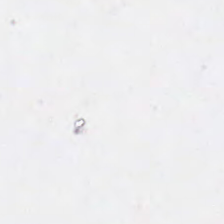H&E; 0.5 microns per pixel.
Content: no tissue.
